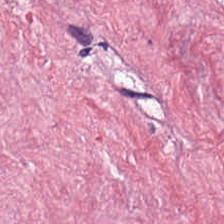H&E-stained tissue section. WSI patch. The tissue class is cancer-associated stroma.
